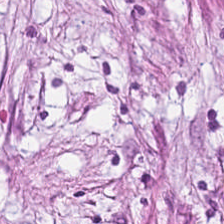H&E patch showing desmoplastic stroma.
